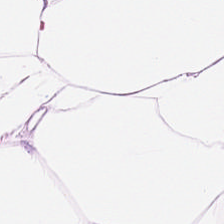WSI patch; H&E stain.
Finding → adipose tissue.
